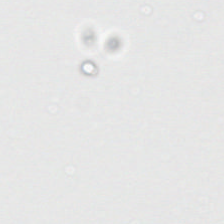Stain: H&E.
Preparation: FFPE tissue section.
Field content: empty background.
